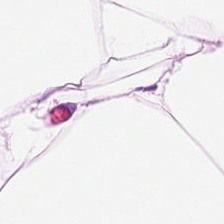H&E-stained tissue section. Q: Identify the tissue.
A: This is adipocytes.
